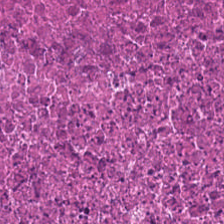H&E-stained tissue section. The tissue type is necrotic debris.
